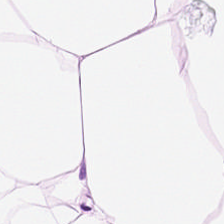H&E. This field is adipocytes.
